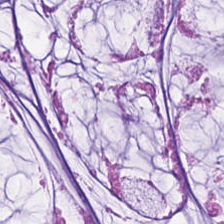Mucus.
